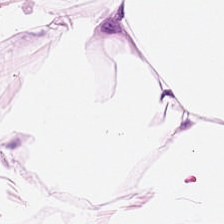Stain: H&E stain.
Classification: adipose.
